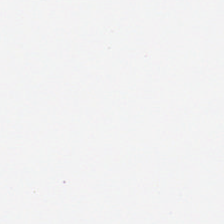Hematoxylin-and-eosin stained section — This field is background (no tissue).
